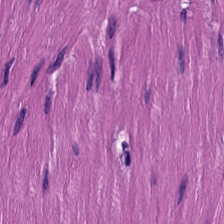Tissue = smooth muscle.
